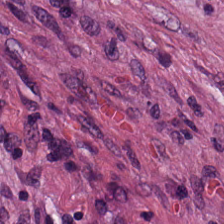Hematoxylin-and-eosin stained section. Classification: cancer-associated stroma.
